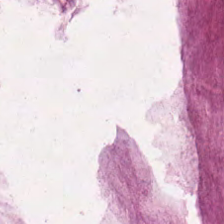Stain: H&E stain.
Acquisition: whole-slide-image patch.
Tissue: mucus.
